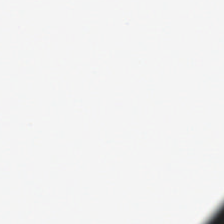The classification is background (no tissue).
